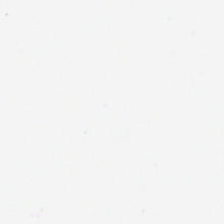H&E. Classification = no tissue.
